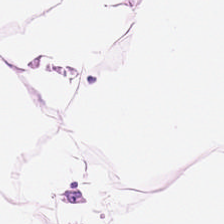H&E stain — Q: What tissue type is shown here?
A: The field shows fat tissue.
